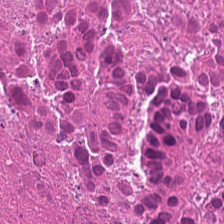H&E — This patch shows cellular debris.
